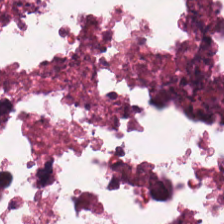Hematoxylin-and-eosin stained section. The tissue here is debris.
